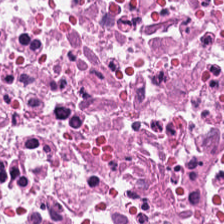Hematoxylin-and-eosin stained section — This field is debris.
